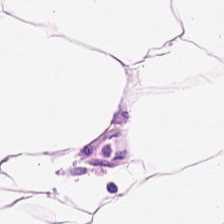H&E stain.
This patch shows fat tissue.
